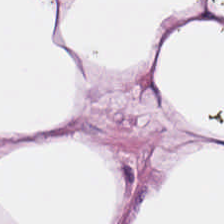Stain: hematoxylin and eosin.
Tissue: fat tissue.
